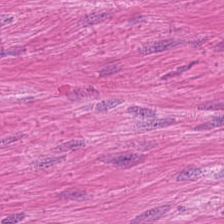H&E-stained tissue section.
Showing smooth muscle.
